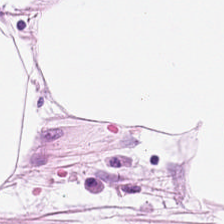Stain: H&E stain.
Acquisition: WSI patch.
Predominant tissue: adipose tissue.
